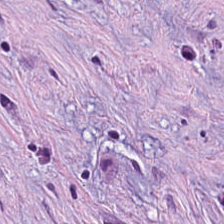H&E stain.
Predominant tissue — desmoplastic stroma.
